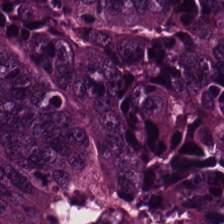H&E-stained tissue section — Predominant tissue: tumor epithelium.
